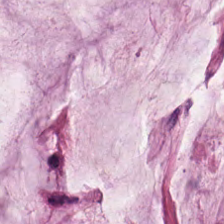Finding → extracellular mucin.
